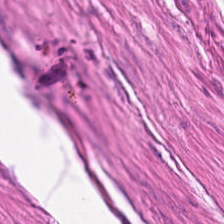Hematoxylin and eosin. 20× equivalent magnification.
Smooth muscle.
